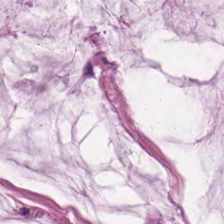Stain: H&E stain.
Predominant tissue: mucus.
